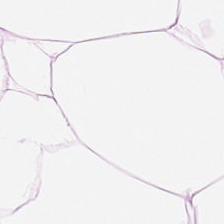224×224 px tile · hematoxylin-and-eosin stained section. Predominantly adipocytes.
